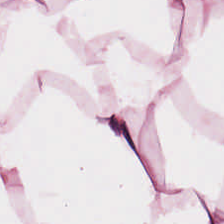H&E-stained tissue section.
This field is fat tissue.
